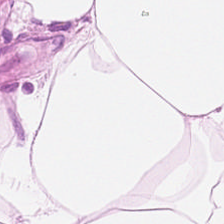H&E stain.
Predominant tissue: fat tissue.
